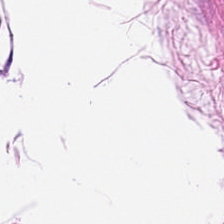Hematoxylin and eosin.
Q: What is shown here?
A: Fat tissue.
